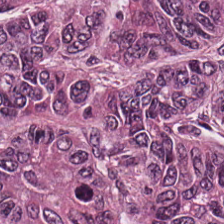Tissue = colorectal adenocarcinoma epithelium.
